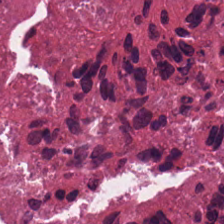H&E — Predominant tissue = debris.
